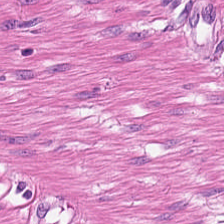Formalin-fixed paraffin-embedded section · hematoxylin and eosin · 0.5 microns per pixel. This field is smooth-muscle tissue.
